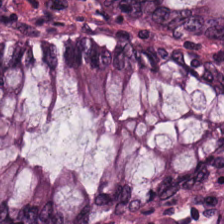H&E stain — Classification — normal colon mucosa.
